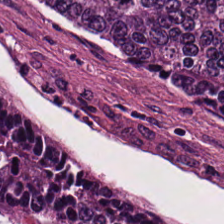Hematoxylin-and-eosin stained section.
Finding — tumor epithelium.
